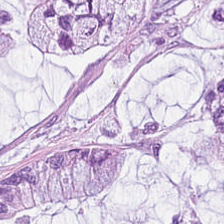Formalin-fixed paraffin-embedded section; H&E; 224×224 px patch.
{"tissue_type": "extracellular mucin"}
